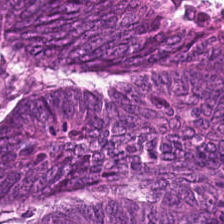Finding → tumor epithelium.
